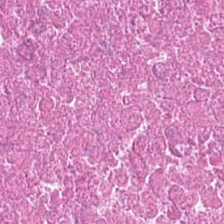20× equivalent magnification. H&E-stained tissue section — Predominant tissue = cellular debris.
